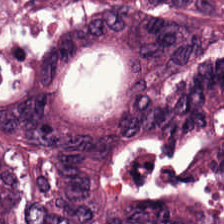FFPE tissue section · hematoxylin and eosin.
Q: What tissue is shown?
A: Colorectal adenocarcinoma epithelium.
